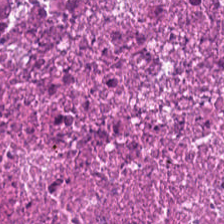0.5 microns per pixel · FFPE · H&E stain.
Tissue class = cellular debris.
